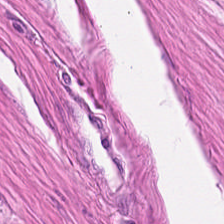{"tissue_type": "smooth-muscle tissue"}
